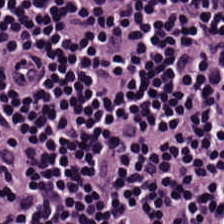FFPE tissue section. Hematoxylin and eosin.
Classification — lymphocytes.
